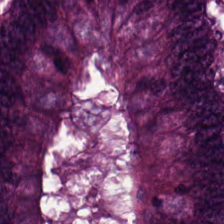Q: Classify this patch.
A: The field shows colorectal adenocarcinoma.
